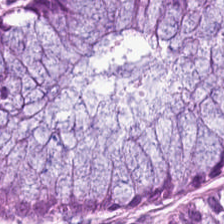H&E. Q: Identify the tissue.
A: This is normal colon mucosa.
